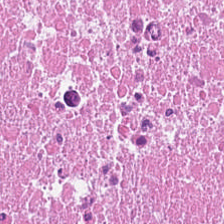H&E stain — Classification = cellular debris.
